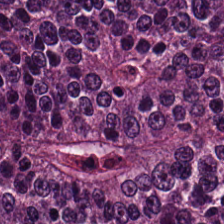H&E stain.
Q: What does this patch show?
A: Malignant epithelium.
